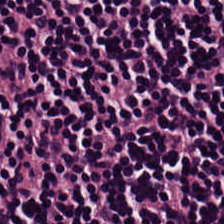Hematoxylin and eosin. Formalin-fixed paraffin-embedded section. Whole-slide-image patch — This patch shows lymphocytic infiltrate.
